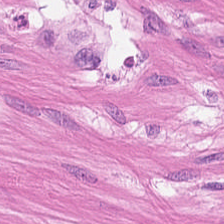Hematoxylin-and-eosin stained section. Tissue class: muscularis.
